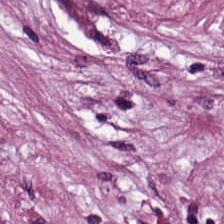The tissue is tumor stroma.
